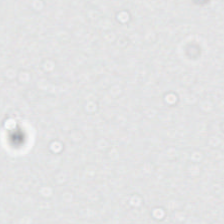H&E stain · formalin-fixed paraffin-embedded section · brightfield microscopy. Field content: no tissue.
